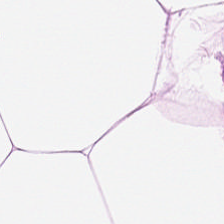Hematoxylin and eosin. The predominant tissue is adipocytes.
